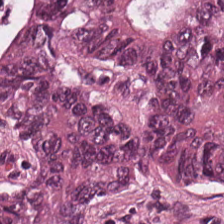FFPE; whole-slide-image patch; H&E — Tissue type — malignant epithelium.
